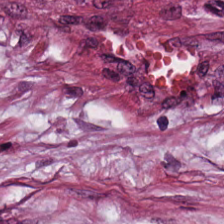224×224 px patch · H&E-stained tissue section. The tissue is tumor-associated stroma.
